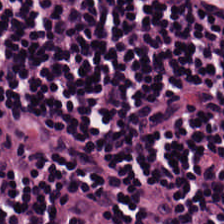H&E stain · 224×224 px tile — Q: Classify this patch.
A: The field shows lymphocyte aggregate.
